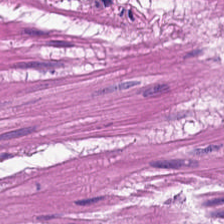H&E.
Q: What is shown in this field?
A: This is smooth-muscle tissue.
